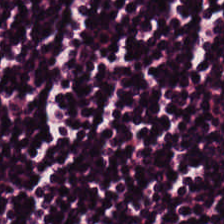FFPE tissue section · 224×224 px patch · H&E-stained tissue section — The tissue here is lymphocyte aggregate.
